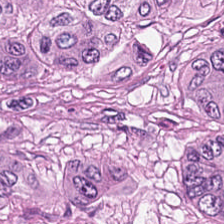20× equivalent magnification. 224×224 px tile. Hematoxylin-and-eosin stained section. {"tissue_type": "colorectal adenocarcinoma"}
